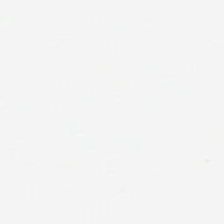Background (no tissue).
